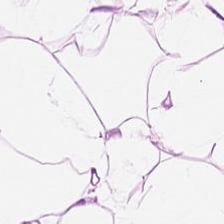Hematoxylin-and-eosin stained section.
Impression → adipose tissue.
